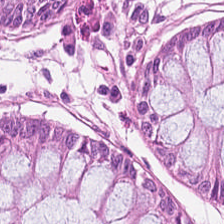H&E — normal colonic mucosa.
